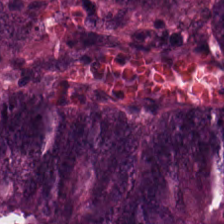Q: What does this patch show?
A: The field shows malignant epithelium.
